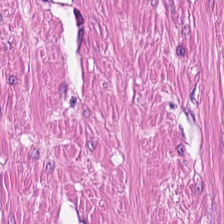Whole-slide-image patch; H&E stain — This patch shows smooth-muscle tissue.
